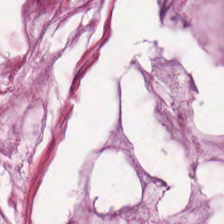Hematoxylin-and-eosin stained section · 224×224 pixel tile · formalin-fixed paraffin-embedded section. Tissue type — mucus.
